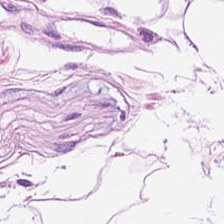H&E-stained tissue section · FFPE.
Q: What is shown in this field?
A: The field shows adipose.
